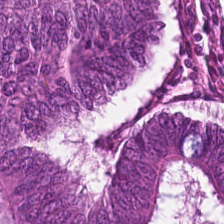Hematoxylin and eosin; 224×224 px patch.
Classification: tumor epithelium.
